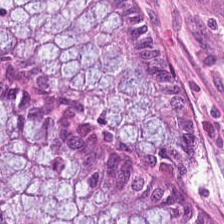Hematoxylin and eosin.
Predominant tissue: benign colonic mucosa.
